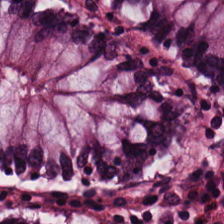224×224 pixel tile. 0.5 µm/px. H&E-stained tissue section.
Normal colon mucosa.
